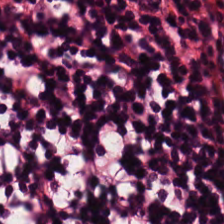H&E stain · formalin-fixed paraffin-embedded section. This field is lymphoid infiltrate.
